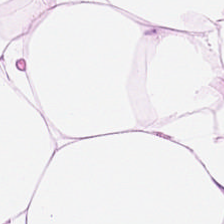The predominant tissue is adipose.
